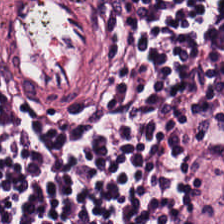Tissue — lymphocytes.
